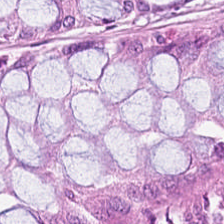Stain: hematoxylin and eosin.
Classification: normal colon mucosa.
